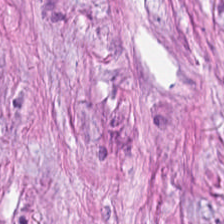Hematoxylin and eosin.
Q: What is the predominant tissue type?
A: It is tumor stroma.
